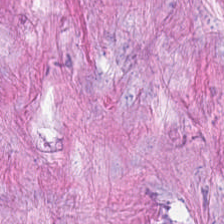Hematoxylin-and-eosin stained section · FFPE.
Showing cancer-associated stroma.
